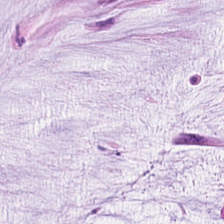H&E stain.
Showing mucin.
